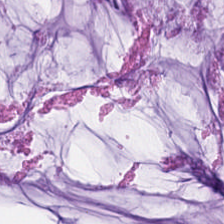Hematoxylin-and-eosin stained section.
Extracellular mucin.
